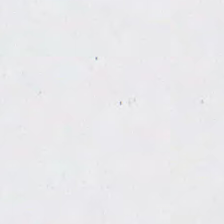{"content": "no tissue"}
